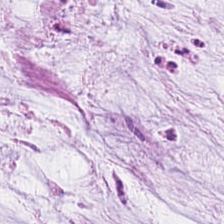Hematoxylin and eosin · 0.5 µm/px — Showing extracellular mucin.
